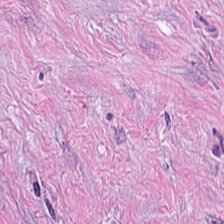H&E stain. Predominant tissue = desmoplastic stroma.
